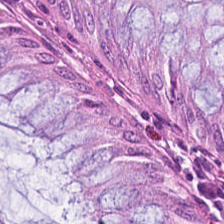Hematoxylin-and-eosin stained section. 20× equivalent magnification. WSI patch. Q: What does this patch show?
A: It is non-neoplastic colon mucosa.
